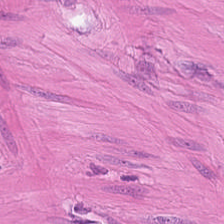Hematoxylin-and-eosin stained section — Finding → smooth muscle.
